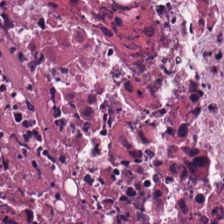WSI patch. H&E stain. 224×224 px patch.
The tissue here is cellular debris.
